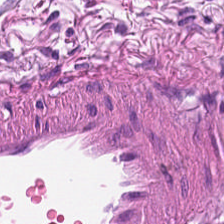H&E.
Tissue type = smooth muscle.
